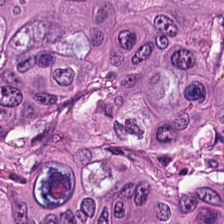Formalin-fixed paraffin-embedded section. Hematoxylin-and-eosin stained section. Predominant tissue = malignant epithelium.
